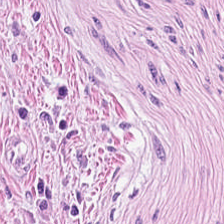224×224 px patch; H&E stain.
Predominant tissue: cancer-associated stroma.
